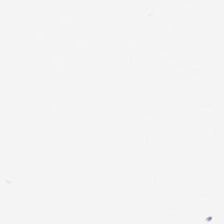H&E; 0.5 µm per pixel. Content — no tissue.
